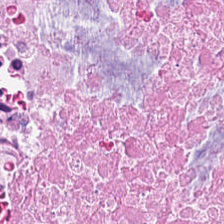H&E-stained tissue section.
Q: What is shown here?
A: It is necrotic debris.
